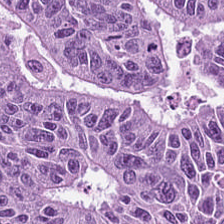{"tissue_type": "malignant epithelium"}
